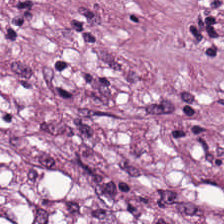224×224 px patch. H&E stain.
The predominant tissue is tumor stroma.
